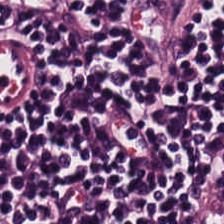Stain: H&E.
Tissue type: lymphoid infiltrate.
